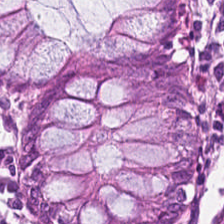Stain: H&E stain.
Tissue type: benign colonic mucosa.
